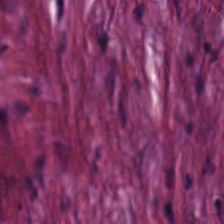Hematoxylin-and-eosin stained section. This patch shows tumor-associated stroma.
